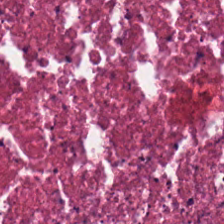H&E. 0.5 microns per pixel — The predominant tissue is necrotic debris.
